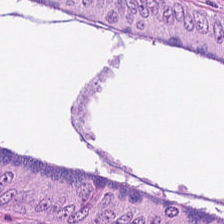Hematoxylin-and-eosin stained section — Tissue type — malignant epithelium.
